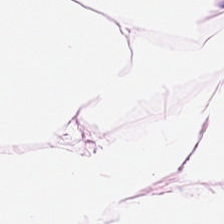Stain: H&E stain.
Classification: adipose.
